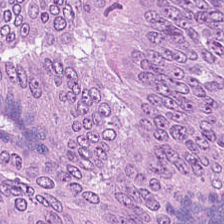H&E-stained tissue section — The predominant tissue is colorectal adenocarcinoma epithelium.
